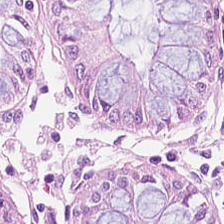H&E · formalin-fixed paraffin-embedded section · brightfield — Q: Identify the tissue.
A: This is normal colonic mucosa.
